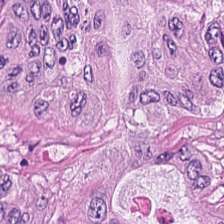Predominantly colorectal adenocarcinoma.
